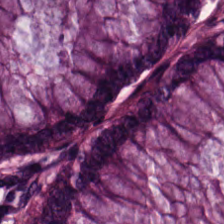224×224 pixel tile. H&E — Finding — benign colonic mucosa.
